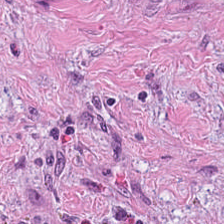Predominantly tumor stroma.
